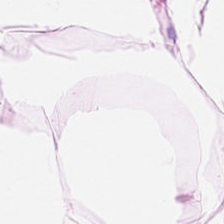Whole-slide-image patch · H&E stain · formalin-fixed paraffin-embedded section. This field is adipose tissue.
